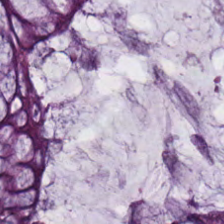Stain: H&E.
Classification: normal colonic mucosa.
